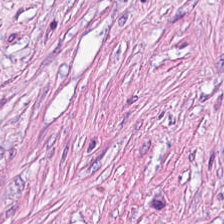Hematoxylin and eosin — Q: What is shown here?
A: Cancer-associated stroma.
